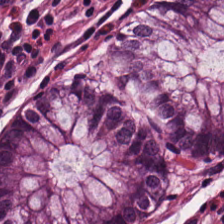Whole-slide-image patch. Hematoxylin and eosin — The predominant tissue is normal colonic mucosa.
